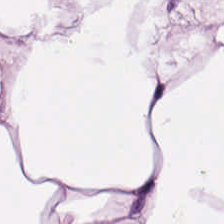Hematoxylin and eosin.
The tissue is adipose.
